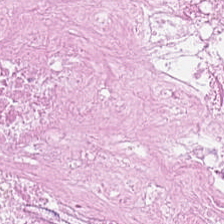Stain: hematoxylin-and-eosin stained section.
Tile size: 224×224 pixel tile.
Classification: necrotic debris.
